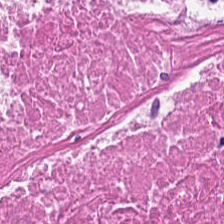224×224 px tile · H&E stain — Q: What tissue is shown?
A: Cellular debris.
